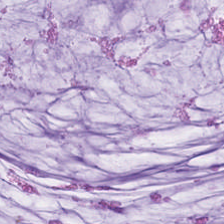{"tissue_type": "mucin"}
